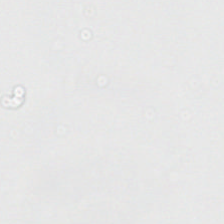H&E stain.
Q: What does this patch show?
A: This is empty background.
